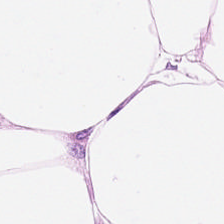WSI patch · H&E-stained tissue section · 224×224 px patch.
Impression → adipose.
